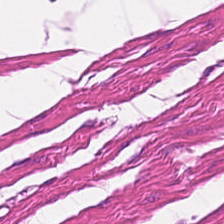224×224 px tile · hematoxylin-and-eosin stained section.
This field is muscularis.
